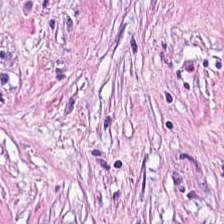H&E-stained tissue section; brightfield. Classification: desmoplastic stroma.
